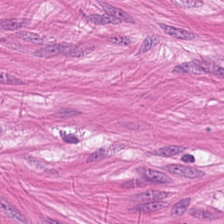H&E stain. Impression → muscularis.
